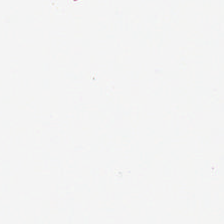Field content — background (no tissue).
